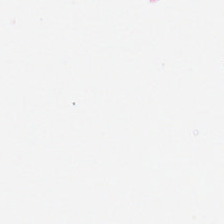Hematoxylin-and-eosin stained section. Histology — no tissue.
